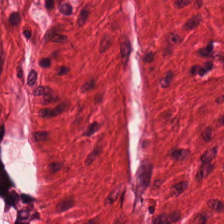H&E. Finding → smooth-muscle tissue.
